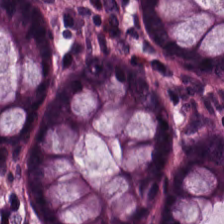H&E stain — Predominantly benign colonic mucosa.
